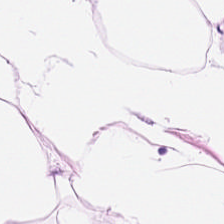Whole-slide-image patch; 224×224 px patch; hematoxylin-and-eosin stained section — Q: What is shown here?
A: Adipocytes.
